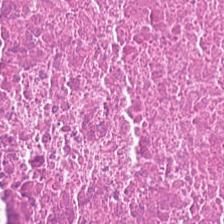FFPE · H&E-stained tissue section. Q: Classify this patch.
A: This is necrotic debris.
